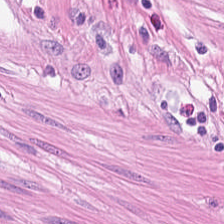H&E patch showing smooth muscle.
